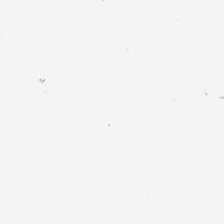Hematoxylin-and-eosin stained section. Empty field — empty background.
